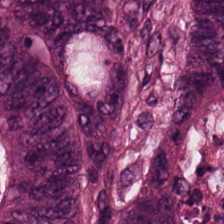H&E — Impression — tumor epithelium.
